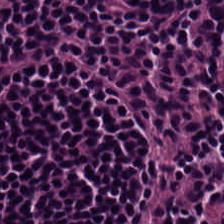Hematoxylin and eosin.
Tissue type: lymphocytic infiltrate.
